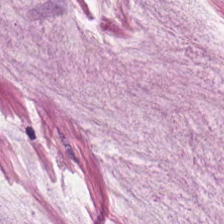The classification is mucin.
